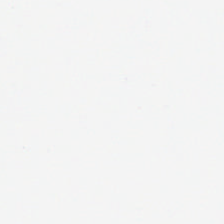Hematoxylin and eosin; FFPE tissue section.
Q: Classify this patch.
A: The field shows empty background.
